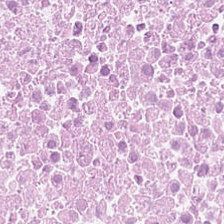H&E stain.
Q: What is shown here?
A: Debris.
